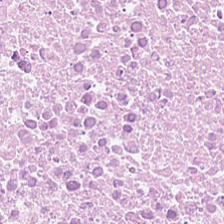Hematoxylin and eosin — Q: What does this patch show?
A: The field shows cellular debris.
